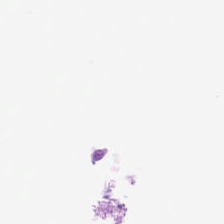Content: background (no tissue).
